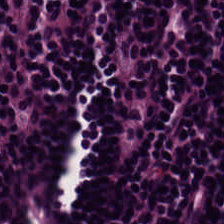H&E.
The tissue here is lymphocytes.
